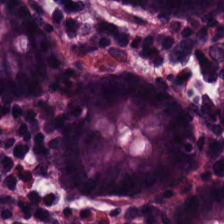H&E. WSI patch. 0.5 microns per pixel. Tissue type: normal colonic mucosa.
